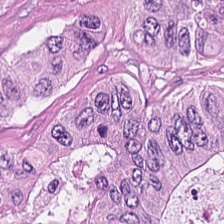224×224 px tile. H&E-stained tissue section — The predominant tissue is tumor epithelium.
